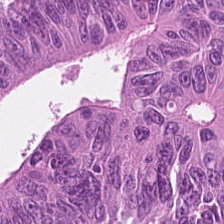Q: Classify this patch.
A: The field shows adenocarcinoma.
